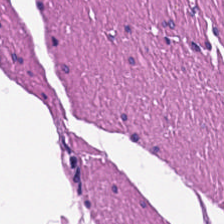H&E-stained section; the field shows muscularis.
